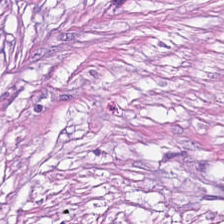H&E-stained tissue section — Cancer-associated stroma.
